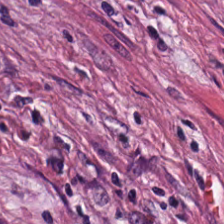Hematoxylin-and-eosin stained section — {"tissue_type": "cancer-associated stroma"}
